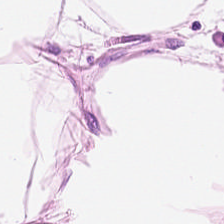Stain: H&E.
Resolution: 0.5 microns per pixel.
Acquisition: brightfield.
Tissue: fat tissue.
